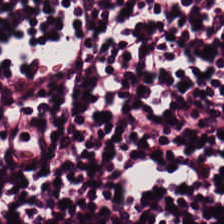H&E-stained tissue section. Histology → lymphoid infiltrate.
